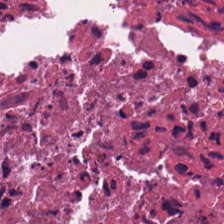Hematoxylin and eosin · brightfield · 224×224 pixel tile.
Finding → debris.
